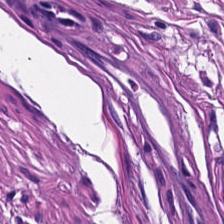20× equivalent magnification · hematoxylin-and-eosin stained section.
Tissue class — smooth muscle.
